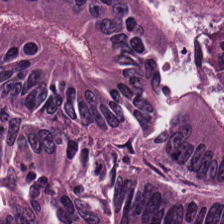H&E stain. 20× equivalent magnification — Histology → tumor epithelium.
